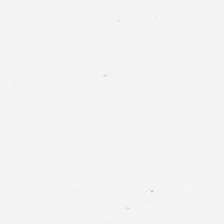This field is background (no tissue).
